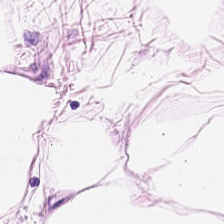H&E stain. Brightfield microscopy. 0.5 microns per pixel — Tissue type: adipose.
